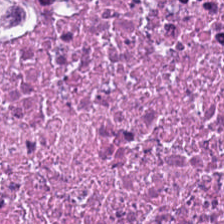WSI patch · H&E-stained tissue section.
The tissue here is debris.
